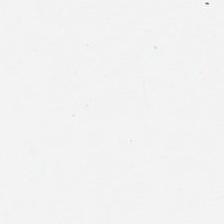Hematoxylin and eosin. 20× equivalent magnification — No tissue present; background only.
